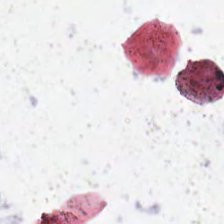This patch shows empty background.
